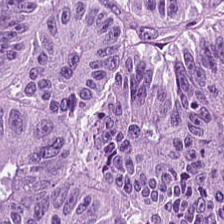H&E stain — Showing colorectal adenocarcinoma.
